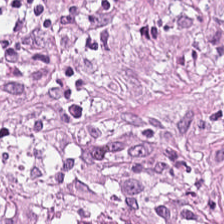This patch shows tumor-associated stroma.
